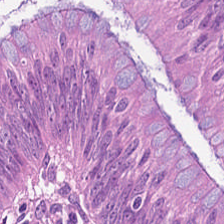H&E stain. Tissue — tumor epithelium.
